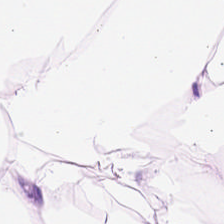Q: What is shown here?
A: The field shows fat tissue.
